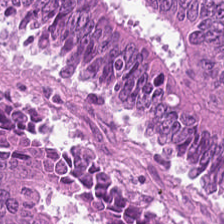0.5 microns per pixel. Hematoxylin-and-eosin stained section. 224×224 px tile — Classification: colorectal adenocarcinoma epithelium.
